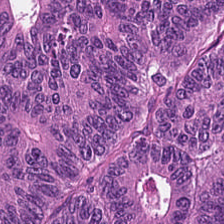H&E-stained tissue section — Adenocarcinoma.
